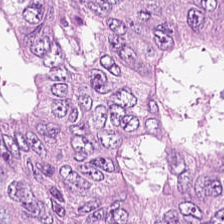H&E.
Classification: colorectal adenocarcinoma.
